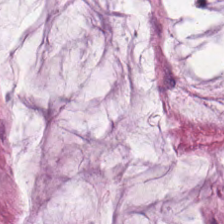H&E stain · formalin-fixed paraffin-embedded section — The classification is mucin.
